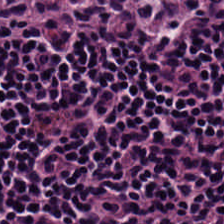This field is lymphoid infiltrate.
